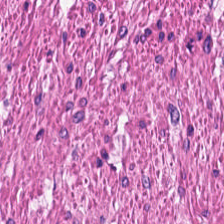Hematoxylin-and-eosin stained section. The predominant tissue is muscularis.
